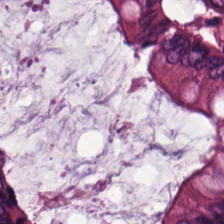Hematoxylin-and-eosin stained section · formalin-fixed paraffin-embedded section. {"tissue_type": "normal colonic mucosa"}
